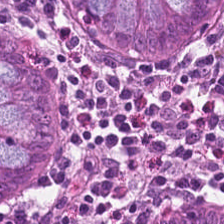Stain: H&E.
Preparation: FFPE.
Resolution: 20× equivalent magnification.
Classification: normal colonic mucosa.
